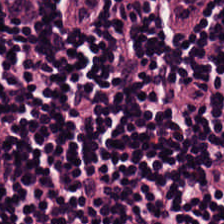H&E-stained tissue section — Predominantly lymphocytic infiltrate.
